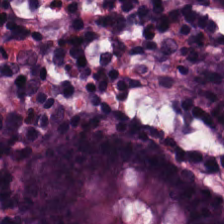H&E-stained tissue section. Q: What tissue is shown?
A: It is non-neoplastic colon mucosa.
